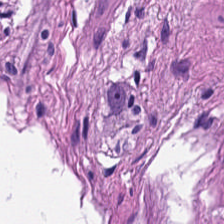Whole-slide-image patch; hematoxylin-and-eosin stained section — Showing smooth-muscle tissue.
